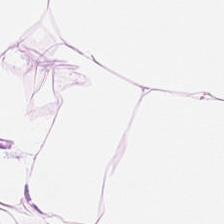H&E-stained tissue section.
{"tissue_type": "adipose"}
